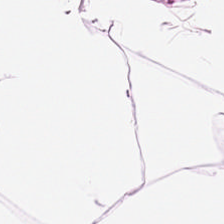Stain: hematoxylin and eosin.
Tissue class: adipose.
